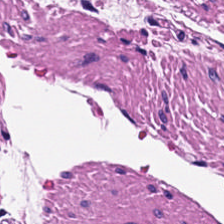H&E. WSI patch. 224×224 px tile. Predominant tissue: smooth muscle.
